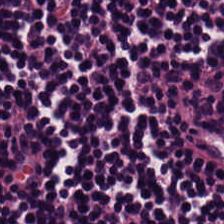H&E.
Predominant tissue: lymphoid infiltrate.
